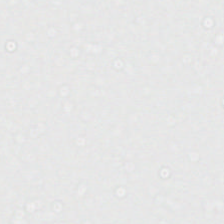Stain: H&E stain.
Acquisition: whole-slide-image patch.
Resolution: 0.5 µm per pixel.
Classification: background (no tissue).
